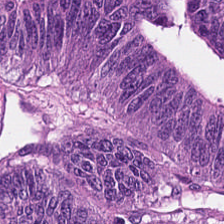Predominant tissue: colorectal adenocarcinoma.
